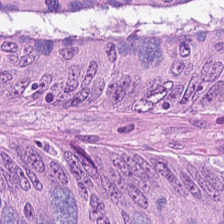H&E; brightfield microscopy.
Tissue type = tumor epithelium.
